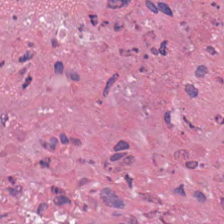Hematoxylin-and-eosin stained section — The tissue here is debris.
